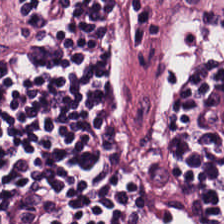FFPE tissue section; hematoxylin-and-eosin stained section — Q: What is shown in this field?
A: It is lymphocyte aggregate.
